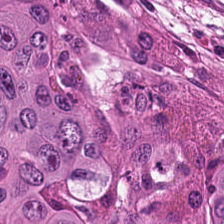Hematoxylin and eosin. 224×224 pixel tile. Finding — tumor epithelium.
